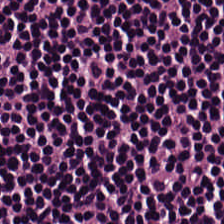H&E-stained tissue section · 0.5 microns per pixel. {"tissue_type": "lymphocytic infiltrate"}
